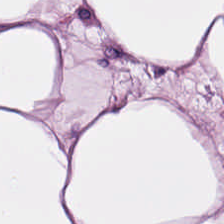The tissue here is adipose.
